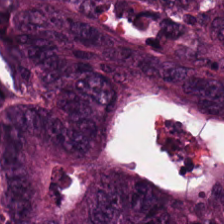Stain: H&E-stained tissue section.
Tile size: 224×224 px tile.
Predominant tissue: colorectal adenocarcinoma epithelium.
